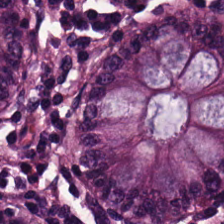H&E-stained tissue section. Classification = normal colon mucosa.
